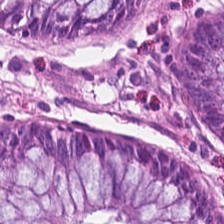Hematoxylin and eosin. Formalin-fixed paraffin-embedded section. Brightfield.
The tissue class is normal colon mucosa.
